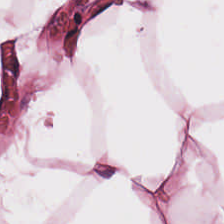Hematoxylin-and-eosin stained section.
Predominantly adipose tissue.
